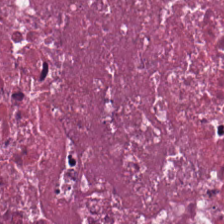Brightfield. H&E. Tissue type — debris.
